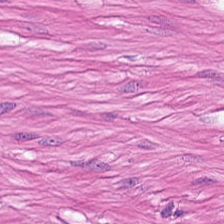H&E-stained tissue section; FFPE; brightfield microscopy.
Finding — smooth-muscle tissue.
